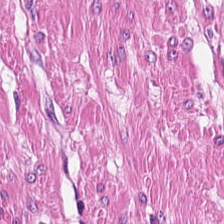Predominantly smooth muscle.
